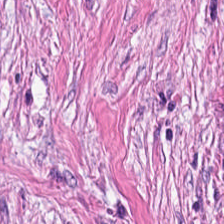H&E. 224×224 px tile.
This patch shows tumor-associated stroma.
